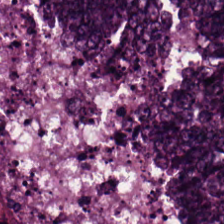{"tissue_type": "colorectal adenocarcinoma epithelium"}
